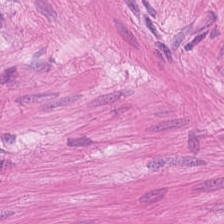Brightfield · 0.5 µm/px · H&E stain.
Predominant tissue — muscularis.
